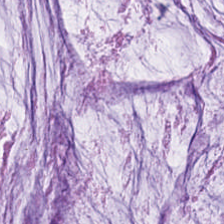Formalin-fixed paraffin-embedded section. H&E-stained tissue section — Tissue — mucin.
